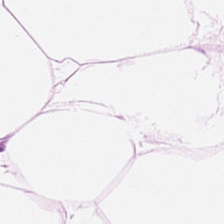Brightfield · FFPE · hematoxylin-and-eosin stained section — This patch shows adipocytes.
